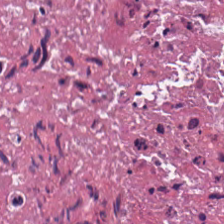Hematoxylin and eosin. Whole-slide-image patch.
Q: What is the predominant tissue type?
A: The field shows necrotic debris.
